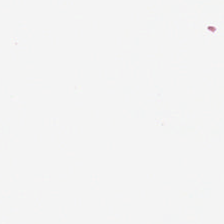Hematoxylin-and-eosin stained section — Histology → background (no tissue).
